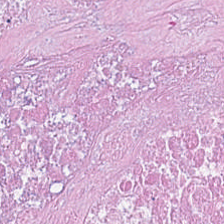H&E stain. Tissue class — debris.
